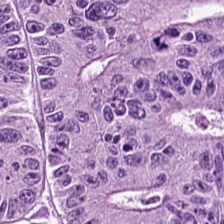Classification — colorectal adenocarcinoma epithelium.
